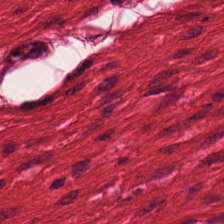Formalin-fixed paraffin-embedded section; hematoxylin-and-eosin stained section. Predominant tissue: smooth muscle.
